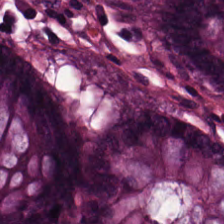Stain: H&E stain.
Classification: normal colonic mucosa.
